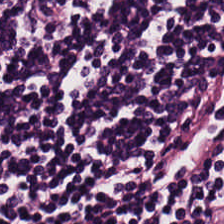Hematoxylin and eosin — Tissue: lymphocytes.
